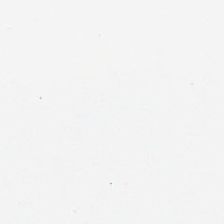Stain: hematoxylin-and-eosin stained section.
Classification: background (no tissue).
